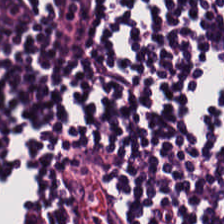224×224 pixel tile; H&E stain — Tissue class — lymphocyte aggregate.
